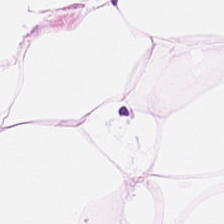Hematoxylin-and-eosin stained section — Predominantly adipose tissue.
